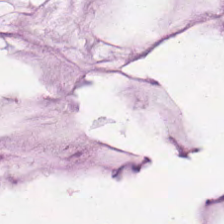Q: What does this patch show?
A: The field shows extracellular mucin.
